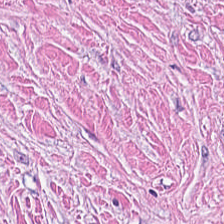H&E-stained tissue section showing tumor stroma.
